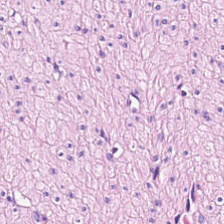The tissue type is muscularis.
